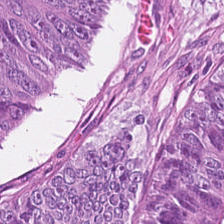224×224 px tile; H&E.
{"tissue_type": "tumor epithelium"}
